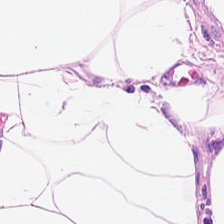H&E-stained tissue section.
Tissue = adipose tissue.
